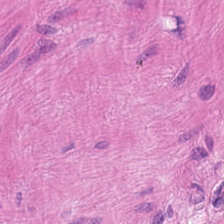H&E — Showing smooth-muscle tissue.
